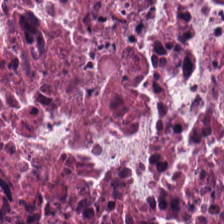Hematoxylin and eosin · whole-slide-image patch.
Tissue type = necrotic debris.
